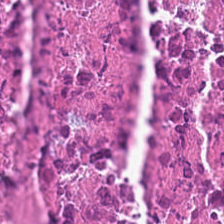Hematoxylin and eosin.
Tissue class = debris.
